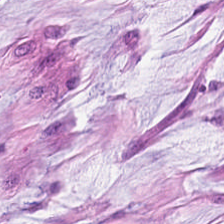Stain: H&E-stained tissue section.
Tissue class: mucus.
